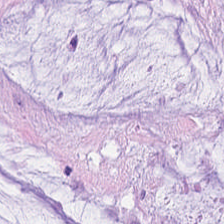H&E.
Tissue = extracellular mucin.
